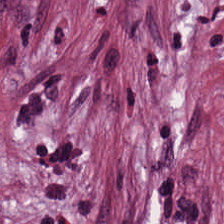H&E — Q: What tissue type is shown here?
A: The field shows cancer-associated stroma.
